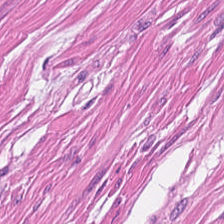This patch shows smooth-muscle tissue.
